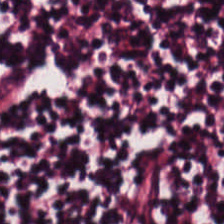H&E-stained tissue section · 0.5 microns per pixel · whole-slide-image patch. Tissue — lymphocyte aggregate.
